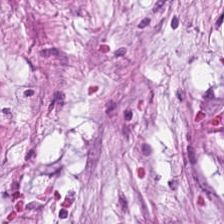Hematoxylin-and-eosin section: desmoplastic stroma.
